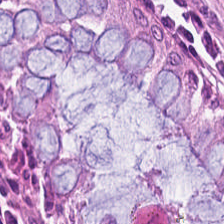H&E. Predominant tissue — normal colon mucosa.
